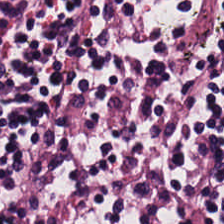Stain: H&E stain.
Tissue class: lymphoid infiltrate.
